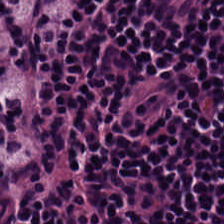The classification is lymphocytes.
